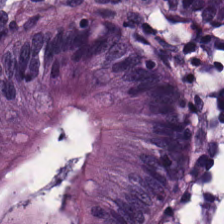Hematoxylin-and-eosin stained section. Predominant tissue: benign colonic mucosa.
